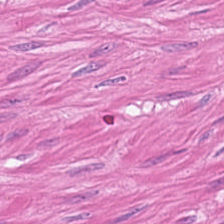H&E-stained tissue section — The tissue here is smooth muscle.
